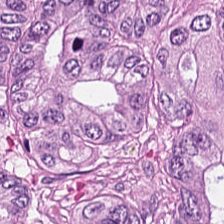Hematoxylin-and-eosin stained section — Q: What tissue is shown?
A: Colorectal adenocarcinoma.
